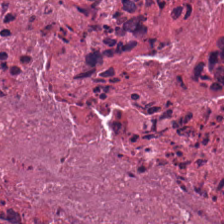Hematoxylin-and-eosin stained section. 0.5 microns per pixel. Tissue: necrotic debris.
